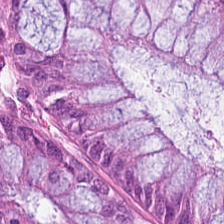Hematoxylin and eosin — The tissue class is normal colonic mucosa.
